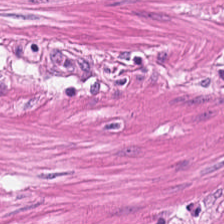FFPE · H&E-stained tissue section · 0.5 microns per pixel. The predominant tissue is muscularis.
